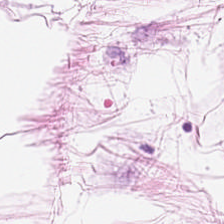0.5 microns per pixel · hematoxylin-and-eosin stained section · 224×224 px tile.
The predominant tissue is adipocytes.
